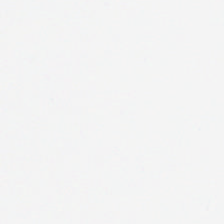Q: What does this patch show?
A: This is empty background.
